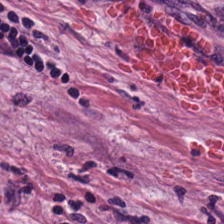Predominant tissue — tumor stroma.
